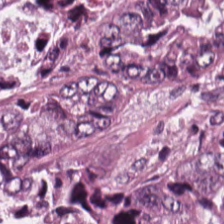H&E. Predominantly malignant epithelium.
